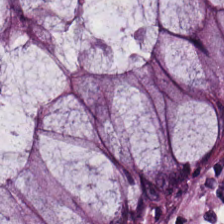H&E stain. FFPE tissue section. The predominant tissue is benign colonic mucosa.
